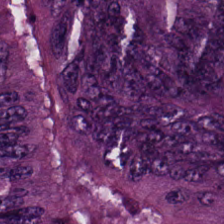Q: What is shown in this field?
A: This is tumor epithelium.
